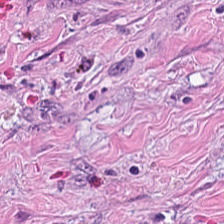H&E-stained tissue section. Finding → desmoplastic stroma.
